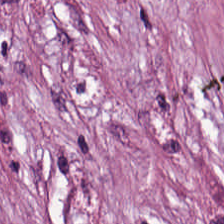H&E — This patch shows cancer-associated stroma.
